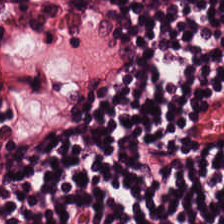224×224 pixel tile · hematoxylin-and-eosin stained section. The tissue is lymphoid infiltrate.
